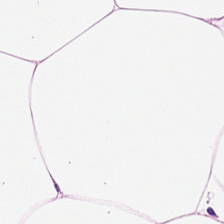Q: What does this patch show?
A: It is fat tissue.
